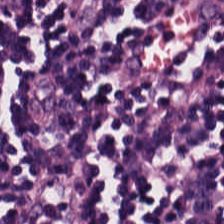Tissue type = lymphocytic infiltrate.
